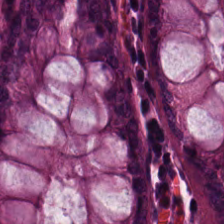H&E; formalin-fixed paraffin-embedded section — Showing normal colon mucosa.
